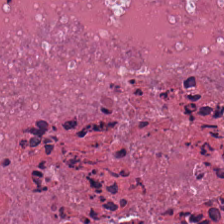The tissue class is necrotic debris.
